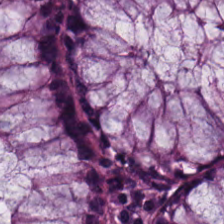Brightfield. H&E stain. 224×224 pixel tile. Predominant tissue: normal colonic mucosa.
